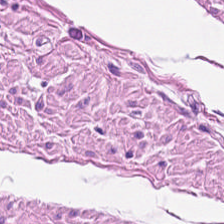H&E-stained tissue section showing smooth muscle.
